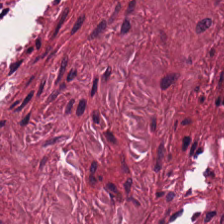H&E-stained tissue section · 224×224 px patch.
Predominantly desmoplastic stroma.
